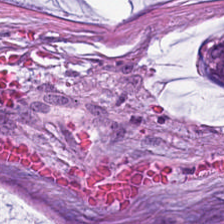H&E-stained tissue section. Impression — mucus.
